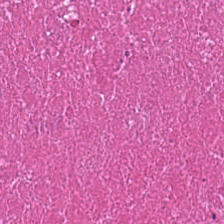H&E-stained tissue section — Impression — necrotic debris.
